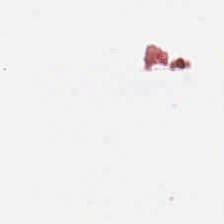Background — no tissue in this field.
